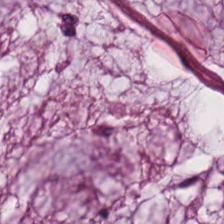Hematoxylin-and-eosin stained section — Classification: mucin.
